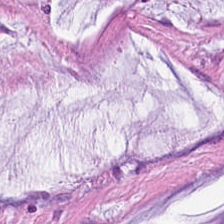Predominant tissue — mucus.
